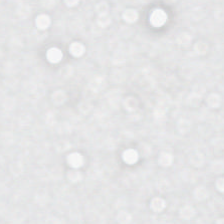Stain: H&E stain.
Content: background (no tissue).
